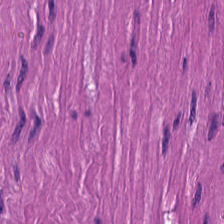H&E; FFPE tissue section.
The tissue class is smooth-muscle tissue.
